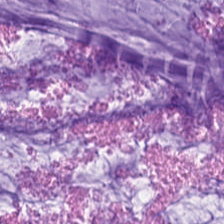H&E stain.
Extracellular mucin.
